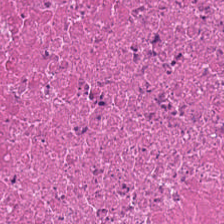20× equivalent magnification · H&E-stained tissue section · brightfield — Histology — cellular debris.
